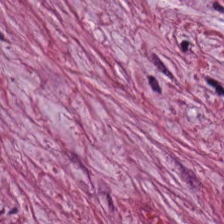Stain: hematoxylin and eosin.
Predominant tissue: tumor-associated stroma.
